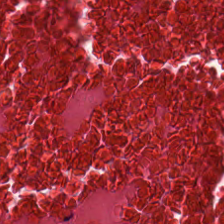The predominant tissue is debris.
